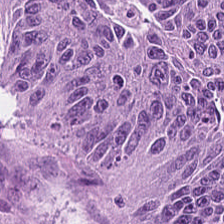Hematoxylin-and-eosin stained section. Q: Classify this patch.
A: This is colorectal adenocarcinoma.
